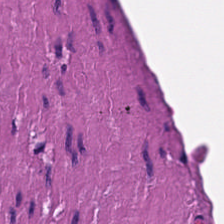Hematoxylin and eosin. Q: What does this patch show?
A: The field shows smooth muscle.
